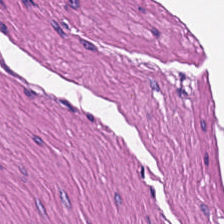224×224 pixel tile. 0.5 microns per pixel. H&E stain — Showing smooth muscle.
